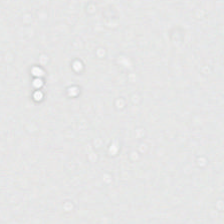Q: What is shown in this field?
A: The field shows background.
